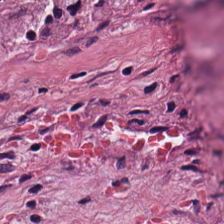Formalin-fixed paraffin-embedded section. Hematoxylin-and-eosin stained section — Q: What tissue is shown?
A: The field shows cancer-associated stroma.
